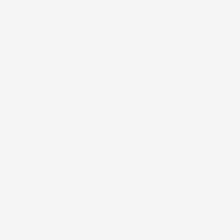H&E-stained tissue section; whole-slide-image patch; 224×224 px tile. Empty field — background.
